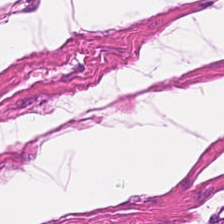H&E.
Histology — muscularis.
